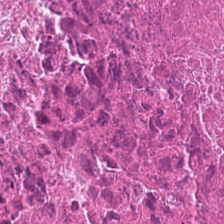Showing necrotic debris.
